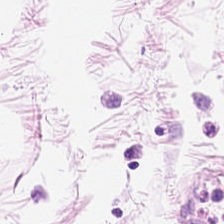Hematoxylin and eosin.
The tissue here is adipose.
